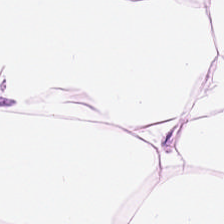Stain: H&E.
Preparation: FFPE tissue section.
Tissue: adipose.
